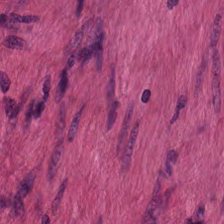Hematoxylin-and-eosin stained section · 224×224 pixel tile. Histology → smooth muscle.
